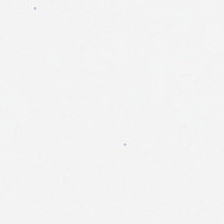Content — no tissue.
